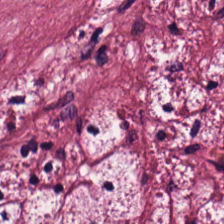Hematoxylin-and-eosin stained section · FFPE.
Tumor-associated stroma.
